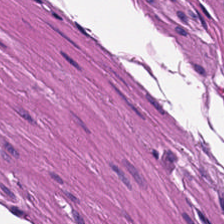H&E-stained tissue section. Whole-slide-image patch.
{"tissue_type": "smooth-muscle tissue"}
